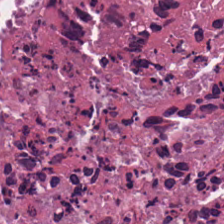Finding — debris.
